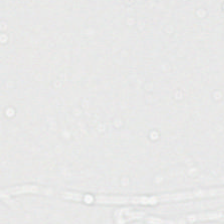224×224 px tile · H&E stain.
Field content = empty background.
